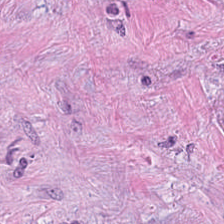H&E-stained tissue section.
The tissue here is tumor-associated stroma.
